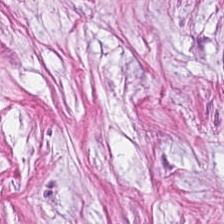H&E. {"tissue_type": "tumor-associated stroma"}
